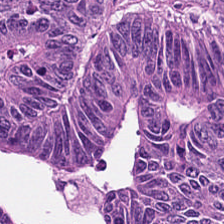H&E · FFPE tissue section — Classification: colorectal adenocarcinoma epithelium.
